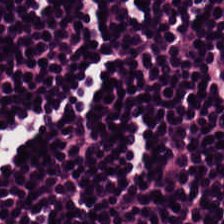H&E — Q: What tissue type is shown here?
A: This is lymphocytes.
